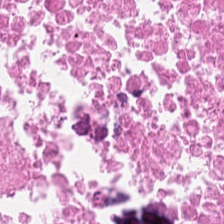{"tissue_type": "cellular debris"}
